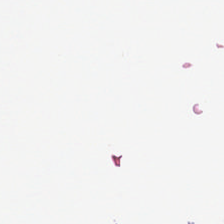Hematoxylin and eosin; whole-slide-image patch. {"content": "background"}
